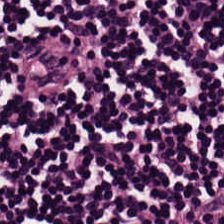224×224 px tile; hematoxylin-and-eosin stained section; 0.5 µm/px. Tissue type: lymphoid infiltrate.
